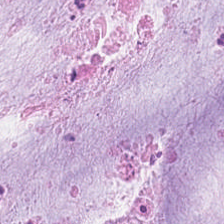The predominant tissue is extracellular mucin.
